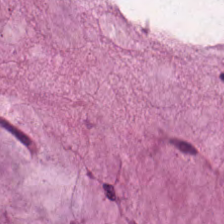H&E.
Predominant tissue = mucus.
